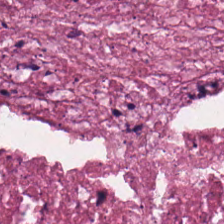Hematoxylin and eosin — {"tissue_type": "debris"}
